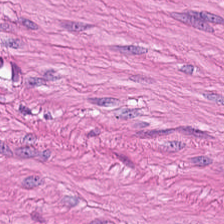H&E — smooth muscle.
